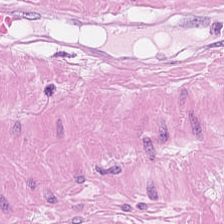H&E stain. Showing smooth-muscle tissue.
